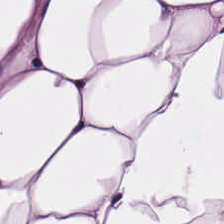H&E-stained tissue section. 0.5 µm per pixel. FFPE — This patch shows adipose.
